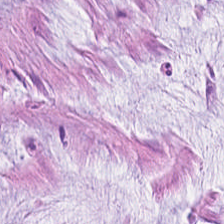Stain: H&E.
Tissue type: mucus.
